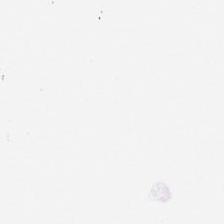Stain: H&E.
Content: no tissue.
